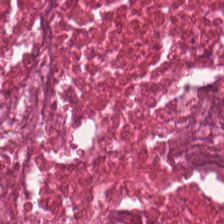H&E stain — Finding — necrotic debris.
